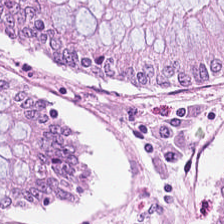Hematoxylin and eosin.
Impression — normal colon mucosa.
